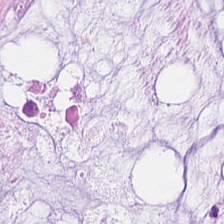H&E-stained tissue section. 224×224 pixel tile — The predominant tissue is extracellular mucin.
